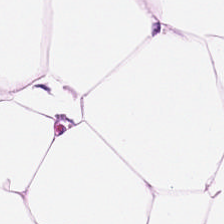Tissue type — adipose tissue.
